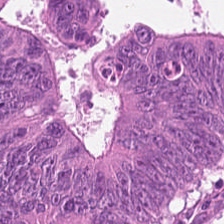This patch shows tumor epithelium.
